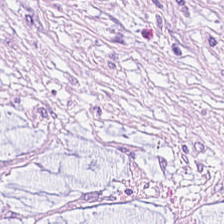H&E patch showing mucus.
